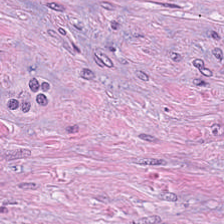H&E-stained tissue section.
This patch shows cancer-associated stroma.
